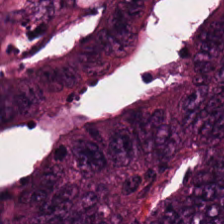Hematoxylin and eosin.
Adenocarcinoma.
